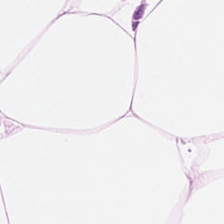H&E — adipose tissue.
